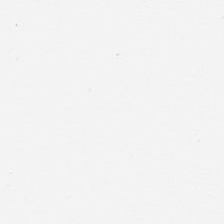Finding — background (no tissue).
